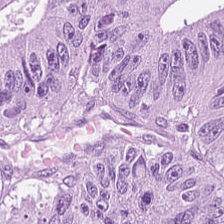H&E-stained tissue section showing colorectal adenocarcinoma.
